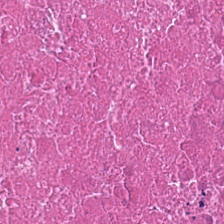The predominant tissue is necrotic debris.
